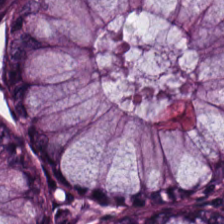The tissue here is normal colonic mucosa.
